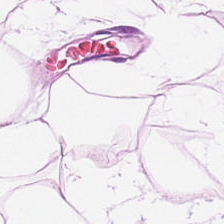This patch shows fat tissue.
